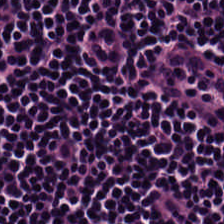Showing lymphocyte aggregate.
